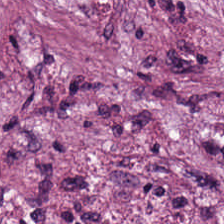Hematoxylin and eosin. Tissue type — desmoplastic stroma.
